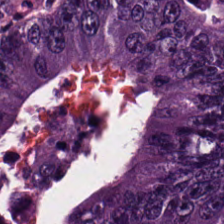H&E stain.
Q: Classify this patch.
A: Adenocarcinoma.
